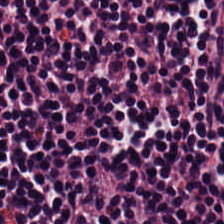FFPE; H&E — Q: What is the predominant tissue type?
A: The field shows lymphocytes.
